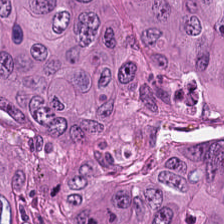Stain: H&E stain.
Tissue type: tumor epithelium.
